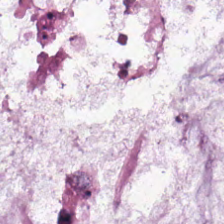WSI patch. Hematoxylin-and-eosin stained section. Showing mucus.
